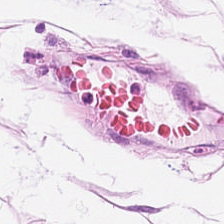H&E stain. FFPE. 224×224 px tile.
This field is fat tissue.
